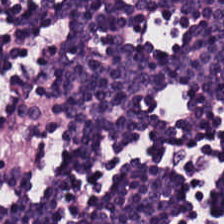H&E stain · formalin-fixed paraffin-embedded section · whole-slide-image patch — {"tissue_type": "lymphocyte aggregate"}
